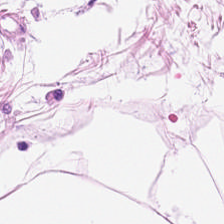H&E-stained tissue section showing adipocytes.
